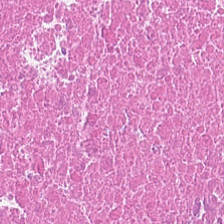H&E-stained tissue section showing cellular debris.
